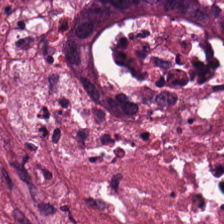H&E.
The tissue here is necrotic debris.
